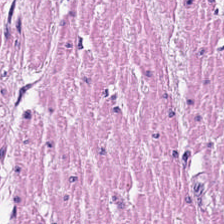Stain: hematoxylin and eosin.
Predominant tissue: muscularis.
